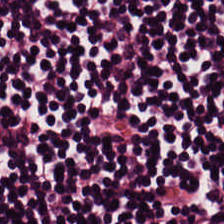Tissue class: lymphocytes.
